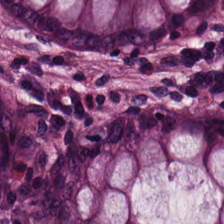Predominant tissue: normal colon mucosa.
